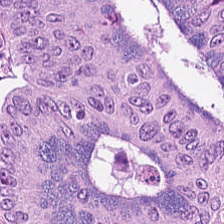Classification — malignant epithelium.
